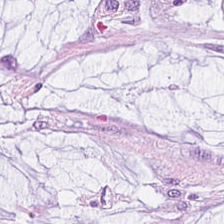0.5 µm per pixel. H&E stain. Tissue: mucin.
